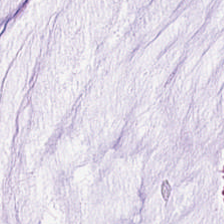Hematoxylin-and-eosin stained section. The predominant tissue is mucin.
